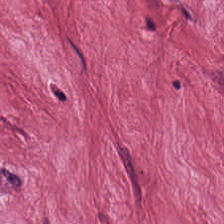H&E-stained tissue section — This patch shows cancer-associated stroma.
